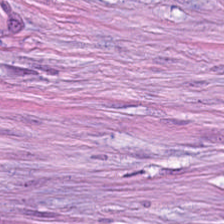H&E. Tumor stroma.
